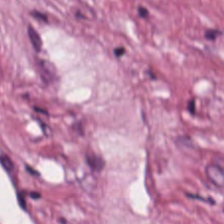Hematoxylin-and-eosin stained section — Classification — tumor stroma.
